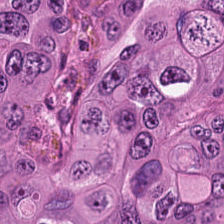H&E · FFPE tissue section · whole-slide-image patch. The tissue is colorectal adenocarcinoma epithelium.
